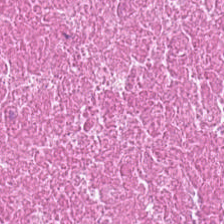20× equivalent magnification; H&E stain — Q: Identify the tissue.
A: This is cellular debris.
